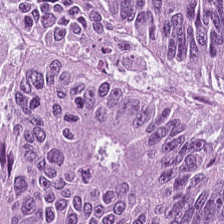Q: What tissue type is shown here?
A: This is adenocarcinoma.
